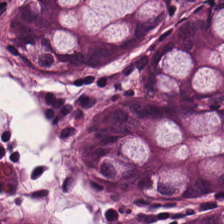The predominant tissue is benign colonic mucosa.
